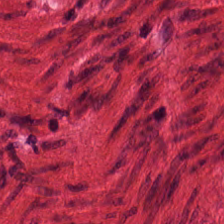H&E stain.
Showing smooth muscle.
